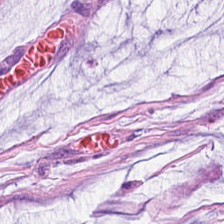Finding — mucin.
